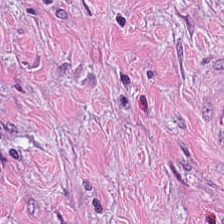Hematoxylin and eosin — The predominant tissue is tumor-associated stroma.
